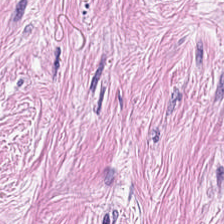Tissue type = desmoplastic stroma.
